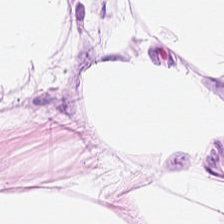H&E-stained tissue section — The predominant tissue is adipose tissue.
